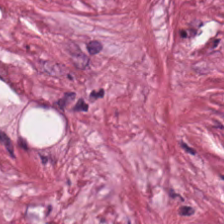Showing cancer-associated stroma.
